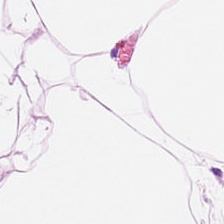224×224 px patch. H&E-stained tissue section. The tissue here is adipose.
